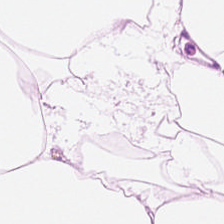Hematoxylin-and-eosin stained section — Q: Identify the tissue.
A: It is adipocytes.
